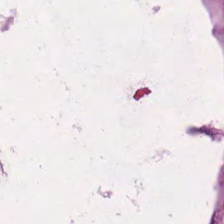0.5 µm/px · formalin-fixed paraffin-embedded section · hematoxylin and eosin. Histology → extracellular mucin.
